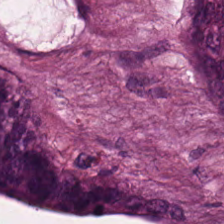Hematoxylin-and-eosin stained section.
Showing cellular debris.
